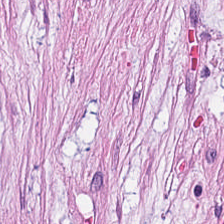Stain: H&E.
Tissue: cancer-associated stroma.
